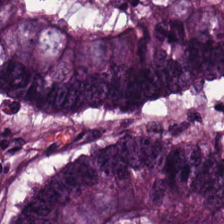The predominant tissue is colorectal adenocarcinoma epithelium.
